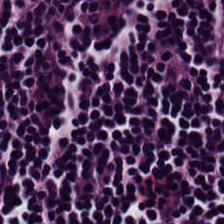Brightfield; hematoxylin-and-eosin stained section. Impression → lymphocyte aggregate.
